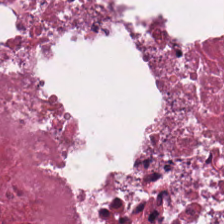H&E stain.
Q: What type of tissue is this?
A: This is necrotic debris.
